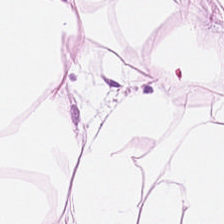Adipose.
